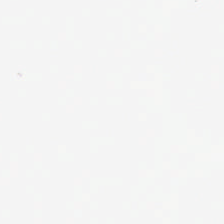Classification = no tissue.
